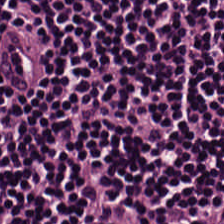H&E; formalin-fixed paraffin-embedded section. Q: What is the predominant tissue type?
A: It is lymphocyte aggregate.
